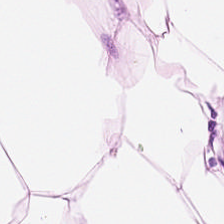H&E-stained tissue section · brightfield — Predominantly adipose tissue.
